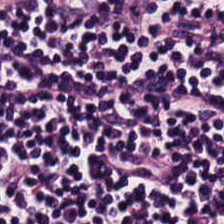Hematoxylin and eosin. 224×224 px patch. 0.5 µm per pixel.
{"tissue_type": "lymphoid infiltrate"}
